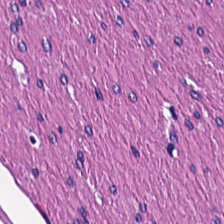Hematoxylin-and-eosin stained section — The tissue type is smooth muscle.
